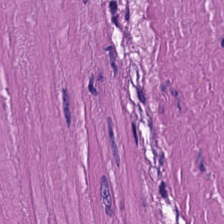H&E-stained tissue section — This field is smooth muscle.
